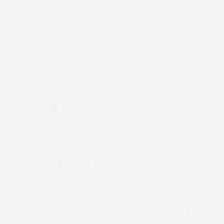Hematoxylin and eosin. Background — no tissue in this field.
